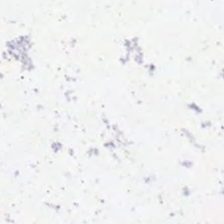Stain: H&E-stained tissue section.
Preparation: FFPE.
Classification: empty background.
